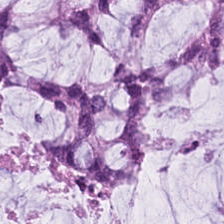Hematoxylin-and-eosin stained section; 224×224 px tile — Classification: mucus.
